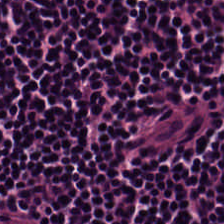H&E · FFPE. This field is lymphoid infiltrate.
